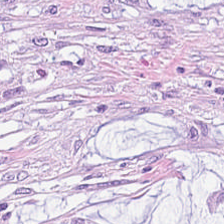224×224 px tile. Brightfield. Hematoxylin-and-eosin stained section.
This patch shows extracellular mucin.
